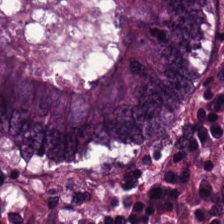Hematoxylin-and-eosin stained section; 224×224 px patch — Q: What type of tissue is this?
A: It is tumor epithelium.
